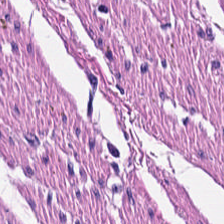H&E.
Q: Identify the tissue.
A: This is smooth muscle.
